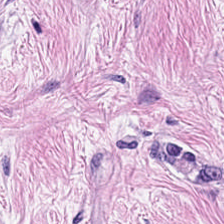H&E · WSI patch. Predominant tissue: tumor stroma.
